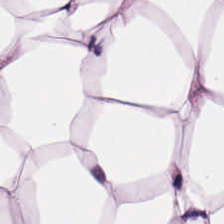Hematoxylin and eosin · whole-slide-image patch.
This patch shows adipocytes.
